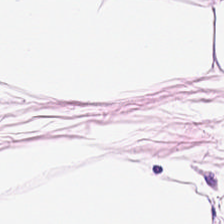Impression → fat tissue.
